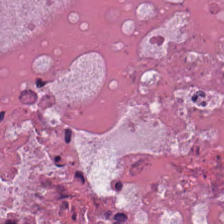Stain: H&E-stained tissue section.
Predominant tissue: debris.
